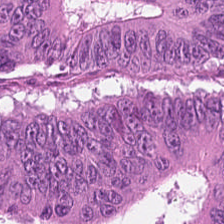H&E-stained tissue section — Tissue type = colorectal adenocarcinoma.
